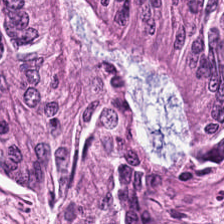H&E-stained tissue section.
Q: What does this patch show?
A: The field shows tumor epithelium.
